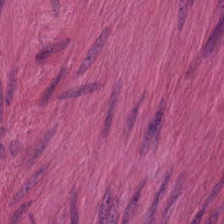Q: What tissue is shown?
A: Smooth-muscle tissue.
